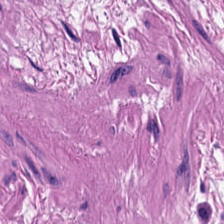Hematoxylin-and-eosin stained section.
This field is smooth-muscle tissue.
